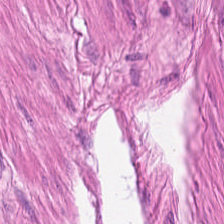H&E-stained tissue section — The tissue class is smooth muscle.
